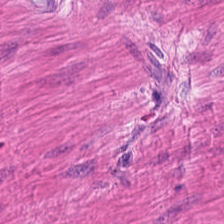H&E. Brightfield microscopy. Tissue type: muscularis.
